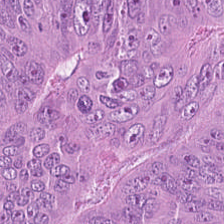H&E-stained tissue section.
Predominantly tumor epithelium.
